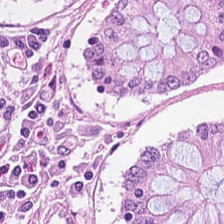H&E.
Classification: benign colonic mucosa.
